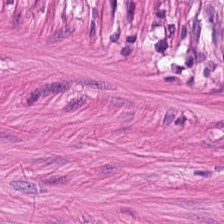0.5 microns per pixel. FFPE. Hematoxylin and eosin — The tissue type is smooth-muscle tissue.
